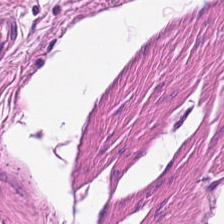Hematoxylin and eosin · 224×224 px tile · 0.5 µm per pixel — Q: What tissue is shown?
A: This is smooth muscle.
